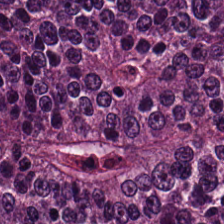Hematoxylin and eosin.
Tissue = malignant epithelium.
